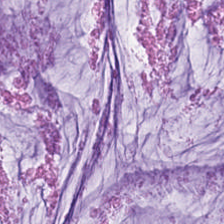This field is mucin.
